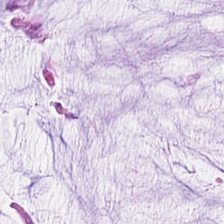Hematoxylin-and-eosin stained section. Tissue type — mucus.
